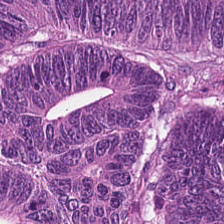0.5 microns per pixel. H&E-stained tissue section. Brightfield. The predominant tissue is colorectal adenocarcinoma epithelium.
